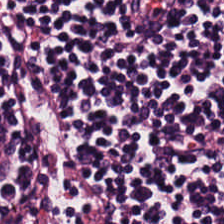Stain: H&E.
Tissue type: lymphocytic infiltrate.
